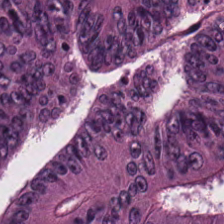Stain: H&E stain.
Tissue type: malignant epithelium.
